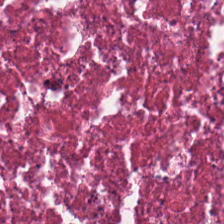Stain: H&E-stained tissue section.
Tissue: debris.
